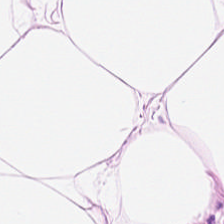Fat tissue.
